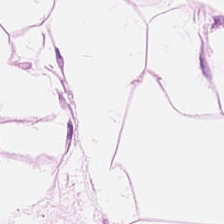Hematoxylin and eosin.
{"tissue_type": "fat tissue"}
